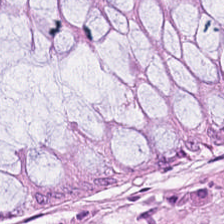Whole-slide-image patch · 224×224 px patch · H&E-stained tissue section. Q: Identify the tissue.
A: Normal colon mucosa.
